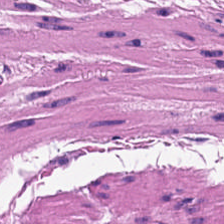FFPE · H&E. This field is muscularis.
